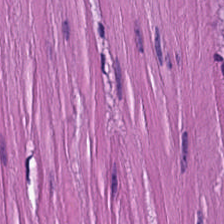Formalin-fixed paraffin-embedded section. 224×224 px patch. H&E. This field is smooth-muscle tissue.
